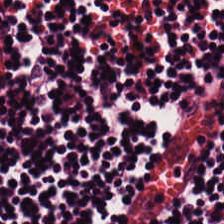20× equivalent magnification · hematoxylin-and-eosin stained section.
This patch shows lymphocytes.
